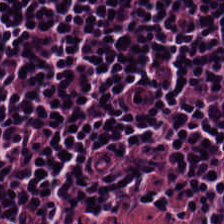The classification is lymphocyte aggregate.
